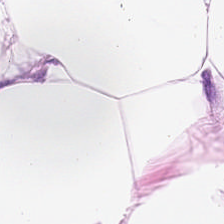H&E-stained tissue section. Q: Identify the tissue.
A: This is adipose tissue.
